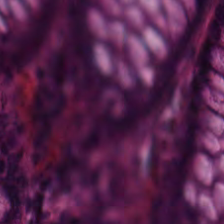Showing benign colonic mucosa.
